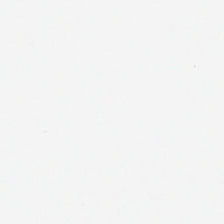H&E stain — Background — no tissue in this field.
